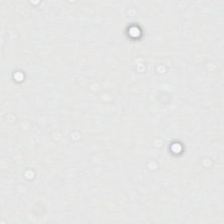H&E-stained tissue section — This patch shows no tissue.
